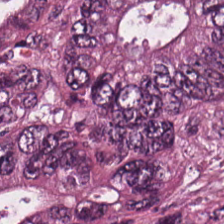Colorectal adenocarcinoma epithelium.
